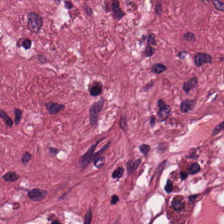H&E. Histology — tumor stroma.
